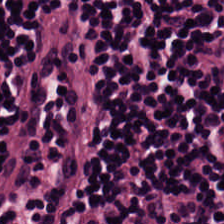H&E stain. The predominant tissue is lymphocyte aggregate.
